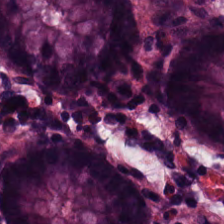H&E stain. This field is normal colon mucosa.
